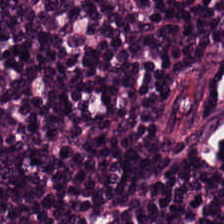Stain: H&E-stained tissue section.
Tissue type: lymphocyte aggregate.
